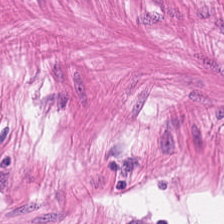Stain: H&E.
Tile size: 224×224 px patch.
Tissue: smooth muscle.
